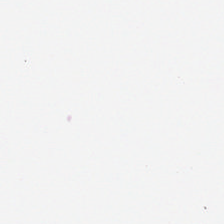224×224 px patch; 0.5 µm/px; H&E-stained tissue section. This field is background (no tissue).
